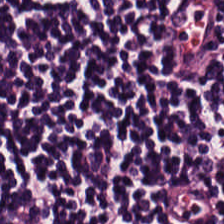FFPE · 224×224 px patch · hematoxylin and eosin.
Finding — lymphocytic infiltrate.
